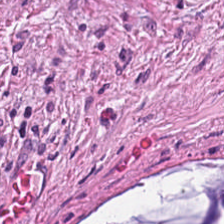H&E. Tissue class — mucus.
